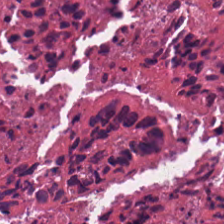Hematoxylin and eosin; 0.5 microns per pixel — Showing necrotic debris.
